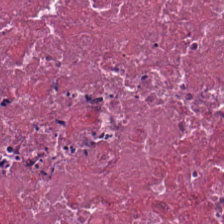FFPE tissue section; H&E — The tissue here is cellular debris.
